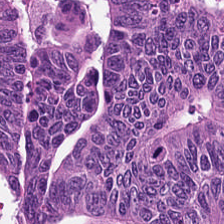Whole-slide-image patch · 0.5 µm per pixel · H&E-stained tissue section.
Histology — colorectal adenocarcinoma epithelium.
